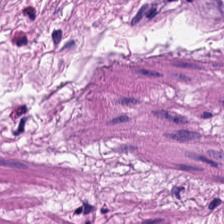Hematoxylin and eosin — Smooth-muscle tissue.
